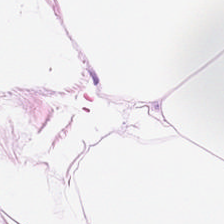Hematoxylin and eosin; 20× equivalent magnification; 224×224 px patch — Q: Identify the tissue.
A: It is adipose tissue.
